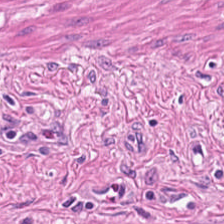0.5 microns per pixel. H&E stain. The predominant tissue is muscularis.
